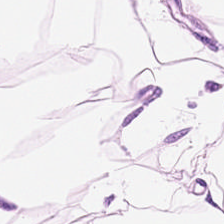H&E-stained section; the field shows adipose tissue.
